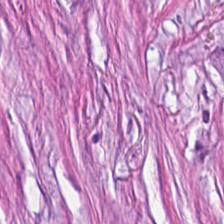0.5 µm/px; H&E-stained tissue section. This patch shows cancer-associated stroma.
